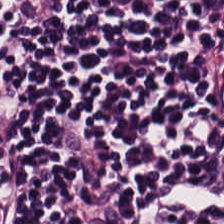Hematoxylin and eosin. Showing lymphocytic infiltrate.
